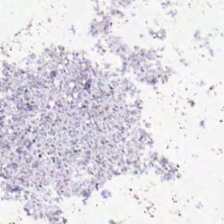This field is background (no tissue).
